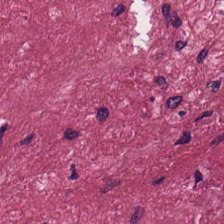Stain: H&E-stained tissue section.
Tissue type: cancer-associated stroma.
